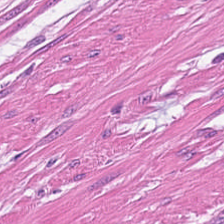Formalin-fixed paraffin-embedded section · hematoxylin and eosin · 0.5 microns per pixel — Histology — smooth-muscle tissue.
